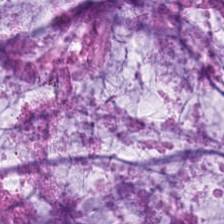Stain: hematoxylin and eosin.
Tissue type: extracellular mucin.
